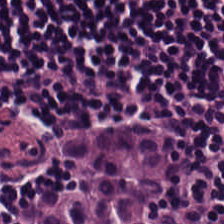H&E. Predominantly lymphoid infiltrate.
